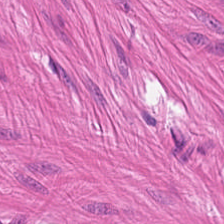H&E.
Histology → smooth muscle.
